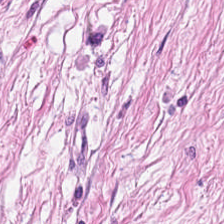H&E stain — The tissue here is tumor-associated stroma.
